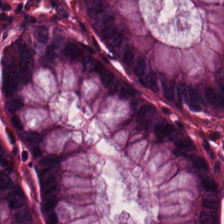H&E stain · 224×224 pixel tile — Showing non-neoplastic colon mucosa.
